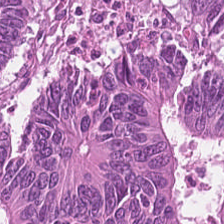H&E — This field is colorectal adenocarcinoma epithelium.
